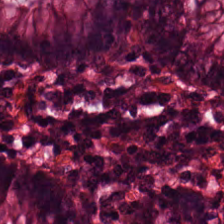The classification is non-neoplastic colon mucosa.
